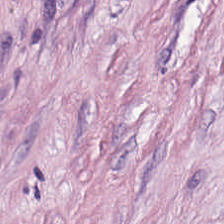Tissue = desmoplastic stroma.
